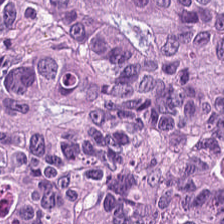Formalin-fixed paraffin-embedded section. Hematoxylin and eosin. 0.5 µm per pixel.
This patch shows malignant epithelium.
